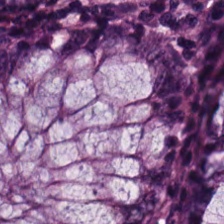Hematoxylin-and-eosin stained section.
Impression — benign colonic mucosa.
